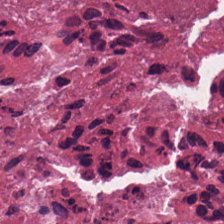H&E stain · FFPE — Showing debris.
